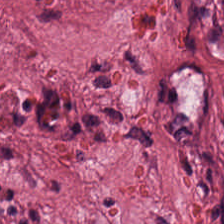Stain: hematoxylin-and-eosin stained section.
Tissue: tumor stroma.
